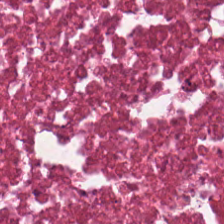Q: What type of tissue is this?
A: It is cellular debris.
